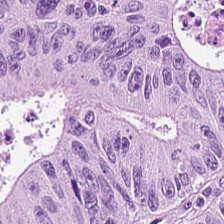Hematoxylin and eosin — Tissue type — colorectal adenocarcinoma epithelium.
